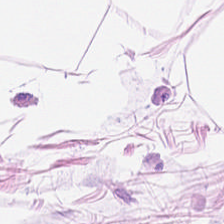Hematoxylin-and-eosin stained section; whole-slide-image patch — Showing adipose tissue.
